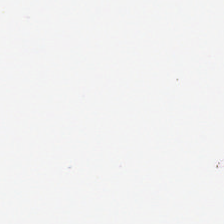Q: What is shown in this field?
A: This is background (no tissue).
